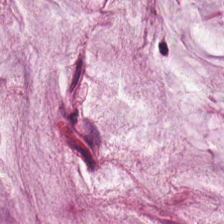Stain: H&E-stained tissue section.
Tissue type: mucus.
